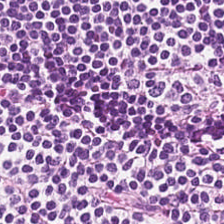Hematoxylin and eosin — Q: What is the predominant tissue type?
A: Lymphoid infiltrate.
